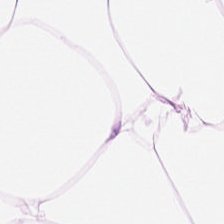H&E stain — Predominantly fat tissue.
